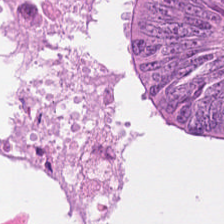Tissue type: tumor epithelium.
